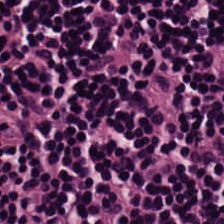Classification — lymphoid infiltrate.
